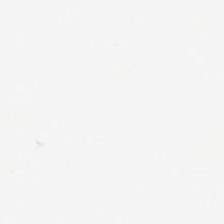H&E; 0.5 µm/px — Classification — empty background.
